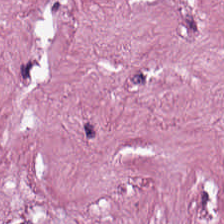H&E.
Showing tumor-associated stroma.
